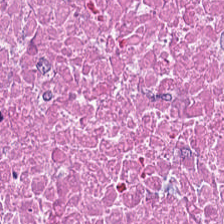FFPE tissue section · hematoxylin-and-eosin stained section. The tissue type is necrotic debris.
